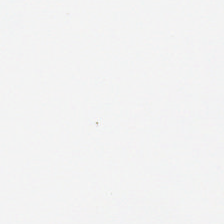Hematoxylin and eosin.
The field content is empty background.
